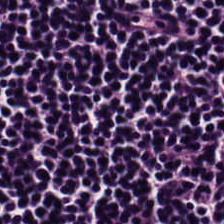Stain: hematoxylin-and-eosin stained section.
Tissue class: lymphocyte aggregate.
